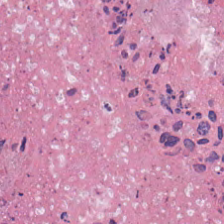H&E-stained tissue section — Q: What is the predominant tissue type?
A: Necrotic debris.
